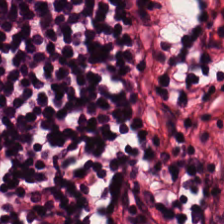H&E-stained section; the field shows lymphocytic infiltrate.
